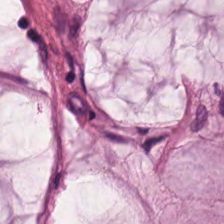H&E.
The tissue class is mucin.
